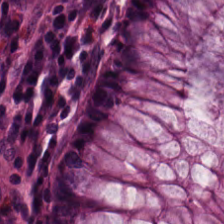H&E. Q: What is shown in this field?
A: Normal colon mucosa.
